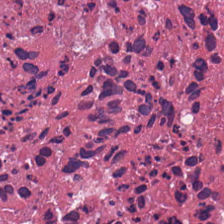Stain: H&E stain.
Classification: necrotic debris.
